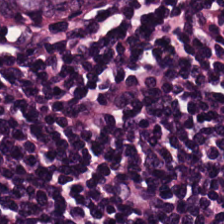H&E stain. Classification: lymphocytes.
